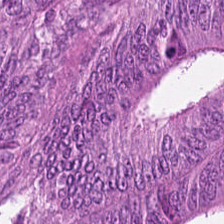H&E-stained tissue section; FFPE tissue section.
The tissue class is adenocarcinoma.
